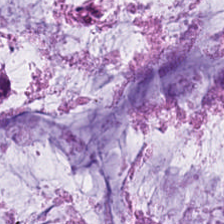H&E stain. Histology — mucus.
